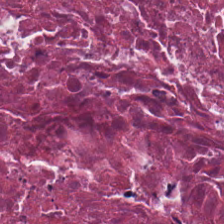H&E · 0.5 µm/px. Showing necrotic debris.
